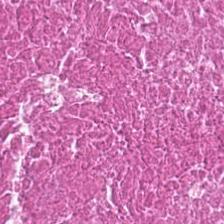Q: What is shown in this field?
A: The field shows cellular debris.
